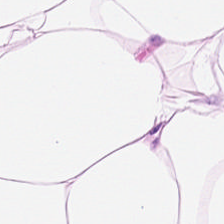This patch shows adipose tissue.
